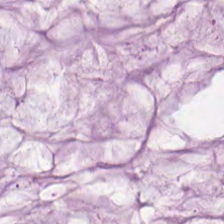H&E · whole-slide-image patch — Finding → extracellular mucin.
